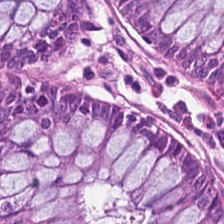{"tissue_type": "non-neoplastic colon mucosa"}
